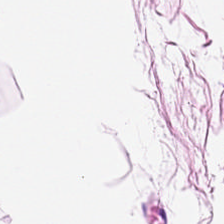{"tissue_type": "adipose"}
